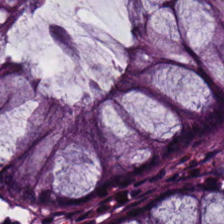Stain: H&E-stained tissue section.
Tile size: 224×224 pixel tile.
Resolution: 0.5 µm per pixel.
Tissue: normal colon mucosa.
